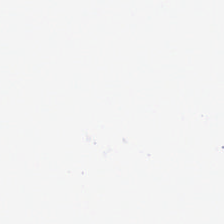Hematoxylin and eosin — No tissue present; background only.
